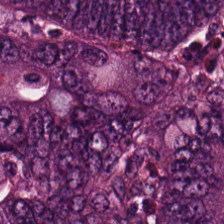H&E. This patch shows colorectal adenocarcinoma epithelium.
